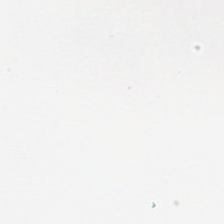H&E. Q: What is shown in this field?
A: It is no tissue.
